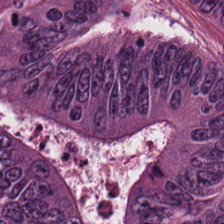Stain: H&E-stained tissue section.
Predominant tissue: tumor epithelium.
